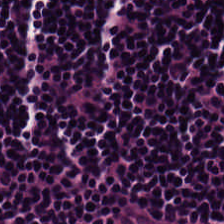The tissue here is lymphocytic infiltrate.
